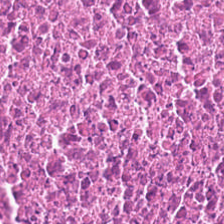Q: What tissue is shown?
A: Necrotic debris.
